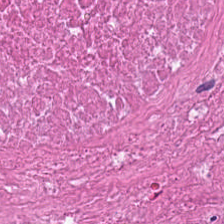Stain: hematoxylin and eosin.
Predominant tissue: necrotic debris.
